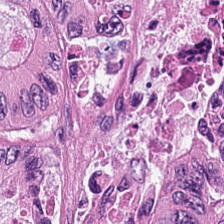Whole-slide-image patch. H&E. 0.5 µm/px. Colorectal adenocarcinoma.
